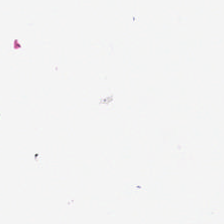Stain: hematoxylin-and-eosin stained section.
Content: empty background.
